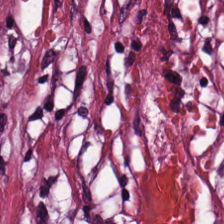Stain: H&E stain.
Predominant tissue: desmoplastic stroma.
